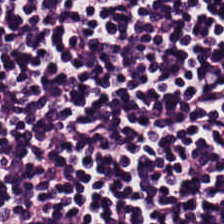Showing lymphoid infiltrate.
